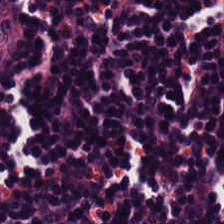Q: Identify the tissue.
A: Lymphocytes.
